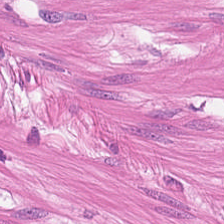Hematoxylin and eosin. Tissue class: muscularis.
